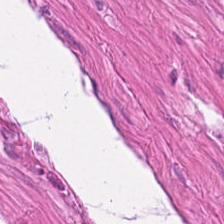WSI patch. Hematoxylin and eosin — Smooth-muscle tissue.
